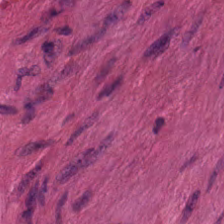Hematoxylin-and-eosin stained section. 224×224 pixel tile.
Tissue class — smooth muscle.
